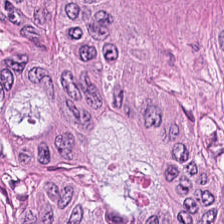H&E-stained tissue section; 224×224 px patch; formalin-fixed paraffin-embedded section — Q: What is shown in this field?
A: This is colorectal adenocarcinoma epithelium.
